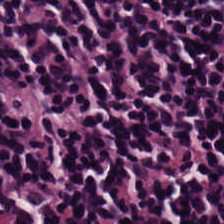This field is lymphocytic infiltrate.
